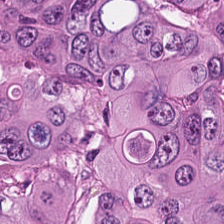H&E · brightfield microscopy — This field is tumor epithelium.
